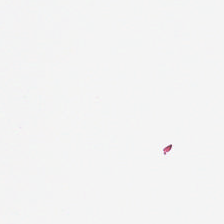Hematoxylin-and-eosin stained section; 0.5 µm per pixel. This patch shows no tissue.
